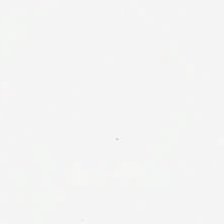H&E. The field content is empty background.
